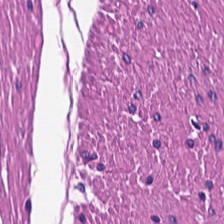H&E. 224×224 pixel tile.
Q: Identify the tissue.
A: Smooth muscle.
